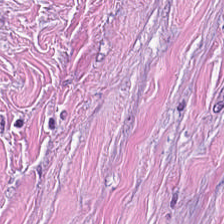0.5 microns per pixel · formalin-fixed paraffin-embedded section · H&E-stained tissue section. This patch shows desmoplastic stroma.
